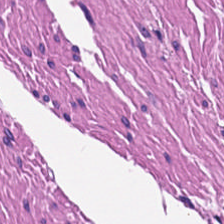The tissue is muscularis.
